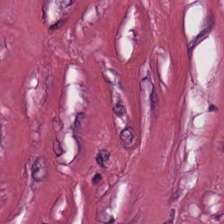H&E stain.
Predominantly tumor stroma.
